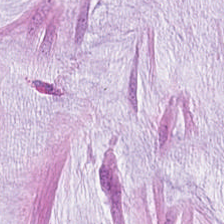The predominant tissue is mucin.
